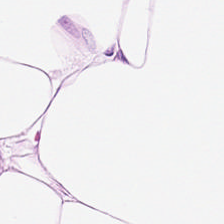Tissue class = adipose.
